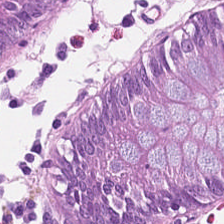20× equivalent magnification; whole-slide-image patch; H&E stain. Q: What is shown here?
A: Normal colon mucosa.
